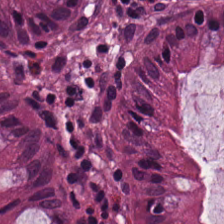H&E.
Predominant tissue = normal colonic mucosa.
